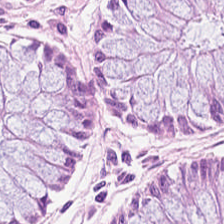Hematoxylin-and-eosin stained section — Tissue class = non-neoplastic colon mucosa.
